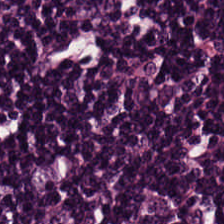H&E — Tissue type = lymphoid infiltrate.
